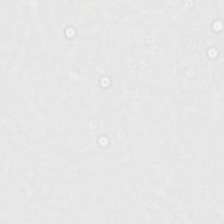20× equivalent magnification. Hematoxylin-and-eosin stained section.
Content = background (no tissue).
